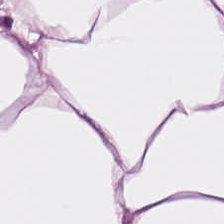FFPE; hematoxylin and eosin — The tissue here is adipose.
